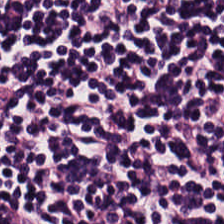224×224 px patch; WSI patch; hematoxylin and eosin.
Predominant tissue = lymphocyte aggregate.
